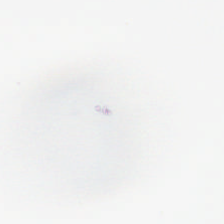Hematoxylin and eosin. Q: What does this patch show?
A: The field shows no tissue.
